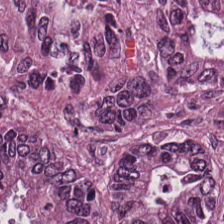{"tissue_type": "colorectal adenocarcinoma"}
